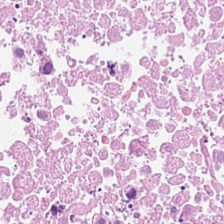Classification: necrotic debris.
